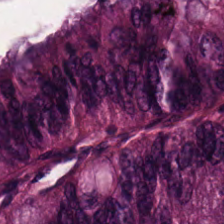{"tissue_type": "colorectal adenocarcinoma epithelium"}
